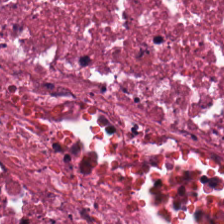Hematoxylin and eosin. Histology → cellular debris.
